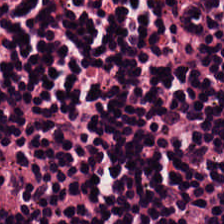H&E patch showing lymphoid infiltrate.
